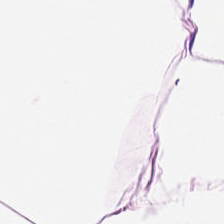H&E — This field is adipose.
